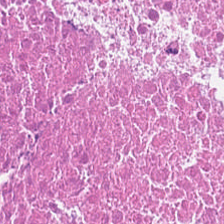Hematoxylin-and-eosin stained section. Tissue type — necrotic debris.
